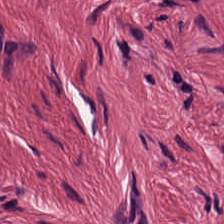{"tissue_type": "tumor-associated stroma"}
